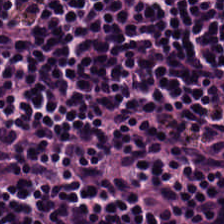The tissue type is lymphoid infiltrate.
